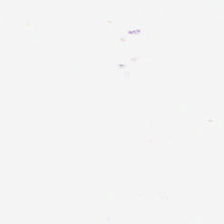No tissue present; background only.
